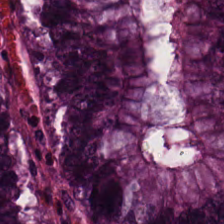Stain: H&E-stained tissue section.
Tile size: 224×224 pixel tile.
Tissue type: non-neoplastic colon mucosa.
